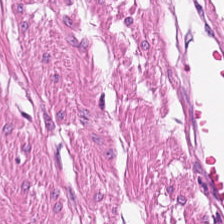FFPE; H&E-stained tissue section. The tissue is smooth muscle.
